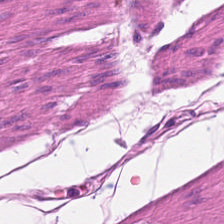Showing smooth muscle.
